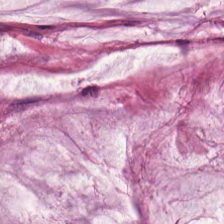Brightfield microscopy · H&E · formalin-fixed paraffin-embedded section.
The predominant tissue is extracellular mucin.
